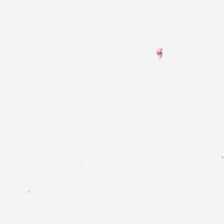Hematoxylin and eosin; FFPE; 20× equivalent magnification — This field is background (no tissue).
